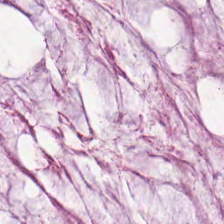Stain: H&E stain.
Tile size: 224×224 px tile.
Tissue class: extracellular mucin.
